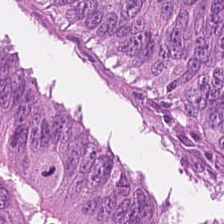Formalin-fixed paraffin-embedded section · hematoxylin-and-eosin stained section · 0.5 µm per pixel.
Q: What does this patch show?
A: This is malignant epithelium.
